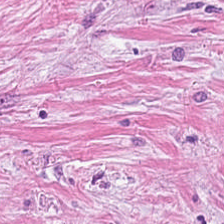Hematoxylin and eosin — Predominant tissue = tumor-associated stroma.
